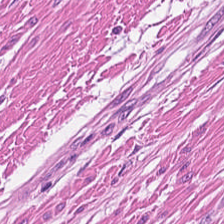FFPE · WSI patch · hematoxylin-and-eosin stained section — Q: What tissue type is shown here?
A: Smooth-muscle tissue.
